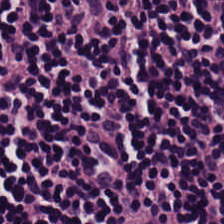H&E stain; 0.5 µm per pixel; FFPE. Tissue type: lymphoid infiltrate.
